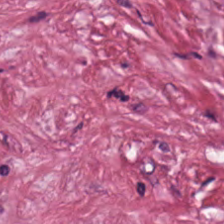224×224 pixel tile. Hematoxylin-and-eosin stained section.
Predominantly tumor-associated stroma.
